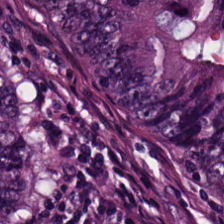224×224 px patch. Hematoxylin-and-eosin stained section — Q: What type of tissue is this?
A: It is colorectal adenocarcinoma epithelium.
